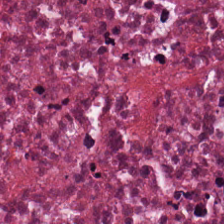H&E — This field is necrotic debris.
